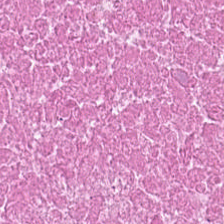H&E-stained tissue section · WSI patch · FFPE. Classification — debris.
